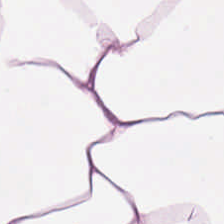Hematoxylin-and-eosin stained section. Q: Identify the tissue.
A: Fat tissue.
